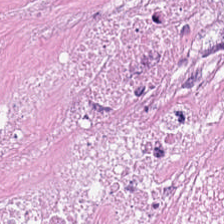WSI patch · H&E stain · 0.5 µm per pixel — The tissue is debris.
